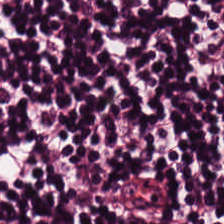H&E stain — Q: What does this patch show?
A: The field shows lymphoid infiltrate.
